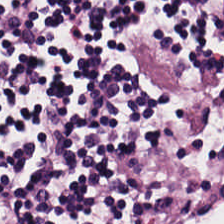H&E stain — Tissue type — lymphocytes.
